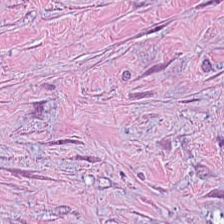0.5 µm per pixel · H&E-stained tissue section. Impression → tumor stroma.
